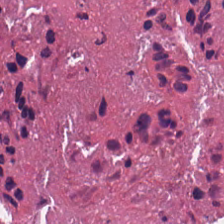H&E stain · FFPE. The predominant tissue is cellular debris.
